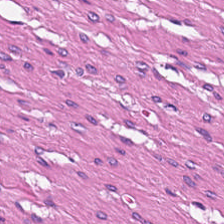H&E stain. Formalin-fixed paraffin-embedded section.
Tissue type: muscularis.
